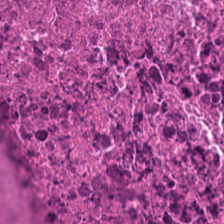224×224 pixel tile · H&E stain · FFPE — Q: Classify this patch.
A: It is cellular debris.
